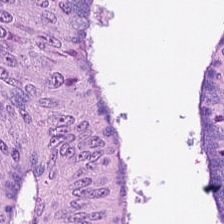Hematoxylin-and-eosin section: colorectal adenocarcinoma.
